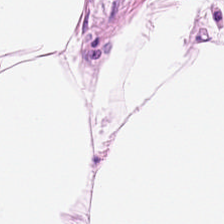{"tissue_type": "adipose"}
